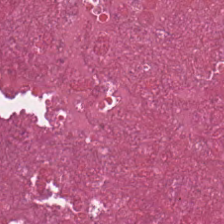Hematoxylin and eosin. Predominant tissue: debris.
